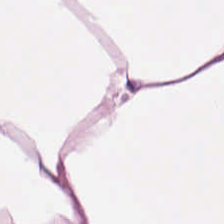Brightfield microscopy. Hematoxylin and eosin. 224×224 px patch — Q: What tissue is shown?
A: This is adipocytes.
